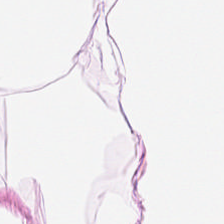Tissue class — adipose.
